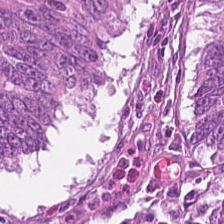224×224 px tile; formalin-fixed paraffin-embedded section; H&E stain.
Tissue class — colorectal adenocarcinoma.
